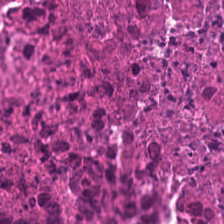Stain: H&E-stained tissue section.
Classification: cellular debris.
